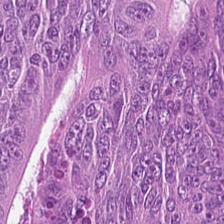H&E · 224×224 pixel tile — Q: What type of tissue is this?
A: The field shows colorectal adenocarcinoma.
